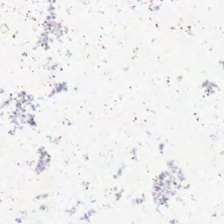H&E stain.
This field is background (no tissue).
